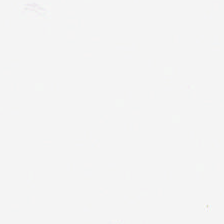FFPE tissue section · hematoxylin and eosin · 0.5 µm/px. Q: Classify this patch.
A: This is background.
